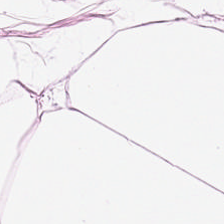H&E-stained tissue section — Tissue: fat tissue.
